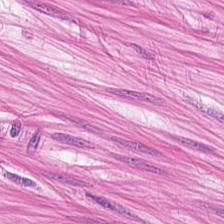Brightfield · 0.5 µm/px · hematoxylin and eosin.
{"tissue_type": "smooth-muscle tissue"}
